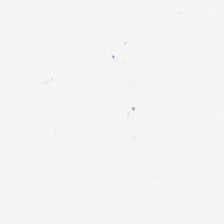Brightfield microscopy · hematoxylin-and-eosin stained section. Content: background.
